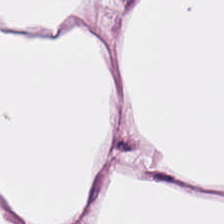H&E; 224×224 pixel tile — Predominantly adipose tissue.
